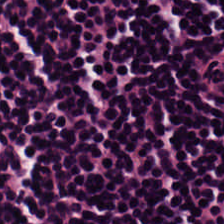Stain: H&E.
Tissue type: lymphoid infiltrate.
